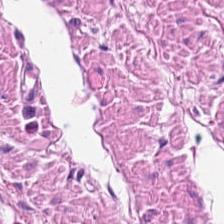H&E stain; 224×224 px patch — Finding → muscularis.
